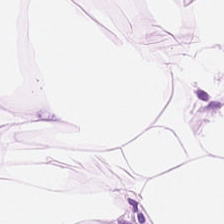Hematoxylin-and-eosin stained section. 224×224 px tile. Whole-slide-image patch. Showing adipose tissue.
